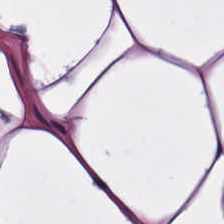Q: What type of tissue is this?
A: It is adipose tissue.
